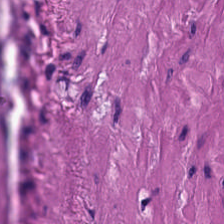20× equivalent magnification. Hematoxylin-and-eosin stained section — Showing smooth muscle.
